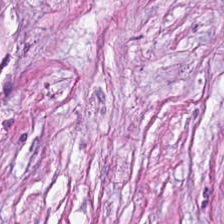224×224 pixel tile. Hematoxylin and eosin — Finding — tumor stroma.
